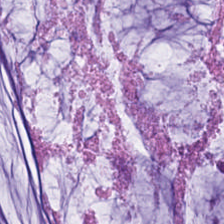H&E stain — This field is mucus.
